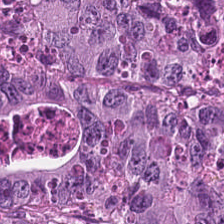H&E-stained tissue section. Finding → tumor epithelium.
